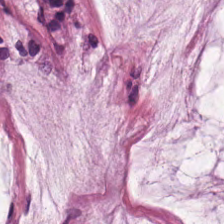Hematoxylin-and-eosin stained section. Formalin-fixed paraffin-embedded section. 224×224 px tile.
Showing mucin.
